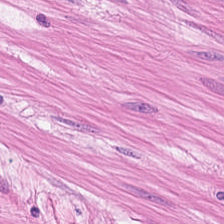Stain: H&E-stained tissue section.
Tile size: 224×224 px tile.
Resolution: 0.5 µm per pixel.
Tissue type: smooth-muscle tissue.
